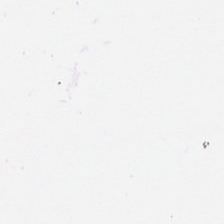H&E-stained tissue section. This field is background (no tissue).
